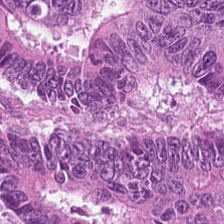Histology — adenocarcinoma.
